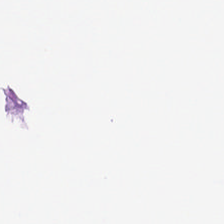Hematoxylin-and-eosin stained section · 0.5 microns per pixel. This patch shows background (no tissue).
